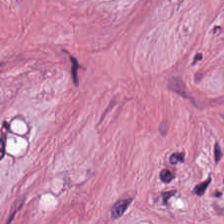20× equivalent magnification · H&E. Showing tumor-associated stroma.
